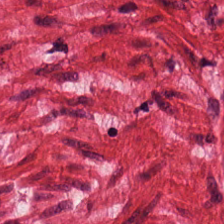0.5 µm/px · brightfield microscopy · H&E stain.
Tissue class = smooth muscle.
